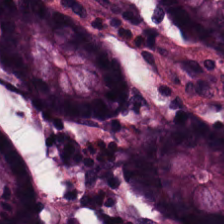Hematoxylin and eosin. Predominantly normal colon mucosa.
